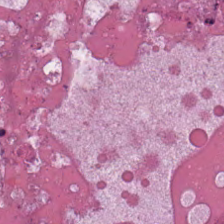Brightfield microscopy; H&E-stained tissue section.
Q: What is the predominant tissue type?
A: Debris.
